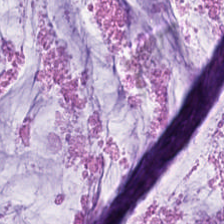224×224 pixel tile · hematoxylin-and-eosin stained section — Q: Identify the tissue.
A: This is mucus.
